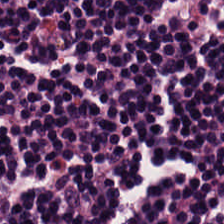H&E stain. 224×224 px tile. Showing lymphocytic infiltrate.
